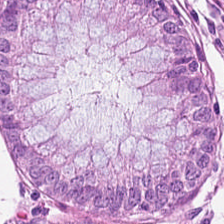Stain: H&E.
Tile size: 224×224 pixel tile.
Tissue: normal colon mucosa.
